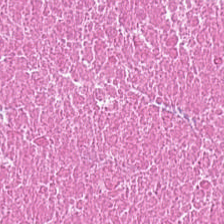H&E-stained tissue section. Predominant tissue: necrotic debris.
